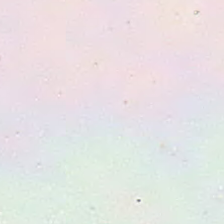H&E — The field content is background.
